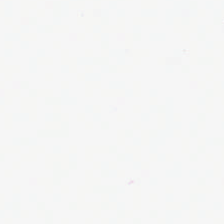H&E stain. {"content": "empty background"}
